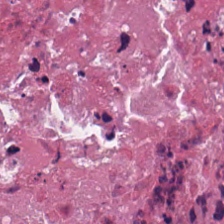Classification — cellular debris.
